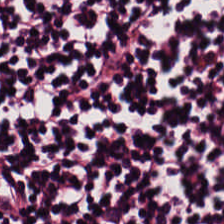H&E stain; whole-slide-image patch — Predominantly lymphocytes.
